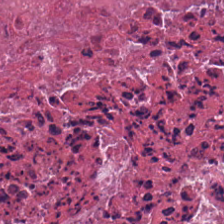H&E · 0.5 µm per pixel. Impression — debris.
